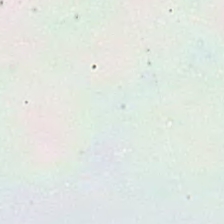224×224 px patch · FFPE · H&E — This patch shows empty background.
